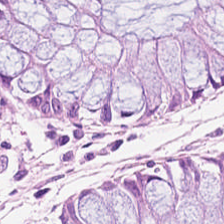Hematoxylin-and-eosin stained section; FFPE tissue section. {"tissue_type": "normal colon mucosa"}
